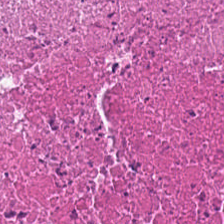Hematoxylin-and-eosin stained section.
Impression — necrotic debris.
